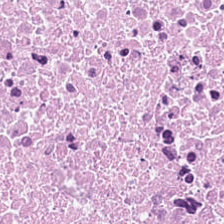Hematoxylin-and-eosin stained section. The predominant tissue is cellular debris.
